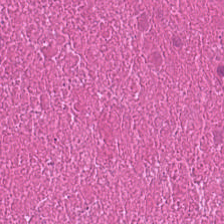Hematoxylin-and-eosin stained section. 224×224 px patch — Impression → debris.
